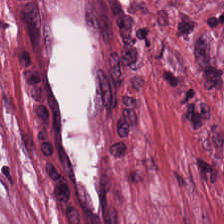This field is tumor-associated stroma.
